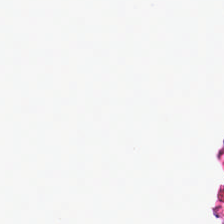Q: What does this patch show?
A: This is background.
